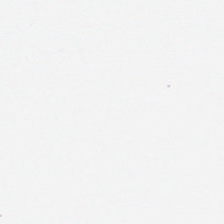H&E stain — {"content": "no tissue"}
